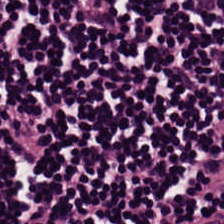H&E stain — Tissue class — lymphoid infiltrate.
